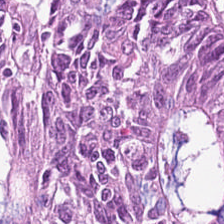H&E · 224×224 px patch — Predominant tissue — tumor epithelium.
